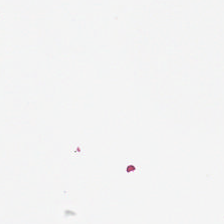Hematoxylin and eosin · 224×224 px tile — This field is background (no tissue).
